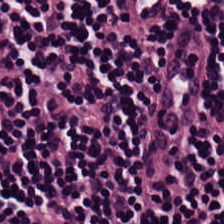Hematoxylin-and-eosin stained section.
Impression — lymphocyte aggregate.
